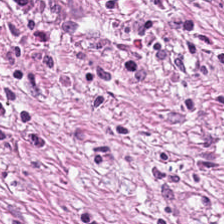Q: What is the predominant tissue type?
A: It is cancer-associated stroma.
